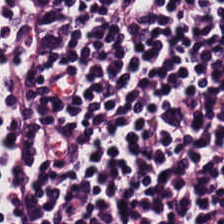Stain: H&E.
Tissue type: lymphocytes.
